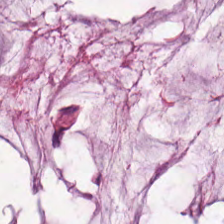H&E-stained tissue section — Classification = mucus.
